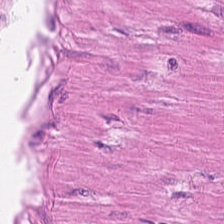Tissue type — smooth-muscle tissue.
